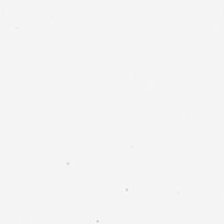Q: What does this patch show?
A: This is empty background.
